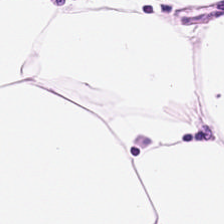Q: Identify the tissue.
A: The field shows adipocytes.
